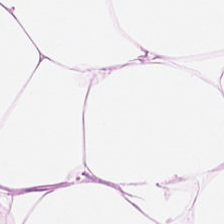H&E — Q: What is the predominant tissue type?
A: This is adipose.
